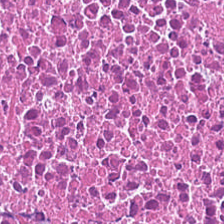H&E stain. 0.5 microns per pixel.
Q: What is the predominant tissue type?
A: It is necrotic debris.
